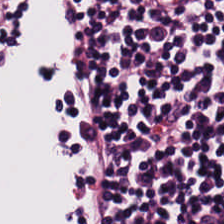224×224 pixel tile · whole-slide-image patch · H&E stain.
This patch shows lymphocyte aggregate.
